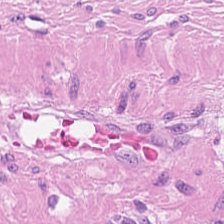The predominant tissue is smooth-muscle tissue.
